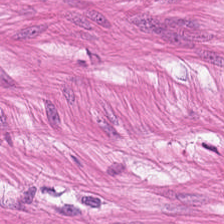Hematoxylin-and-eosin stained section; 0.5 µm/px. The tissue here is muscularis.
